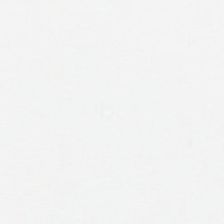Stain: H&E stain.
Content: background.
